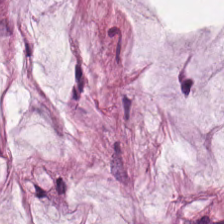H&E-stained tissue section. Q: What tissue type is shown here?
A: This is mucin.
